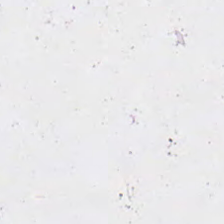This field is background (no tissue).
